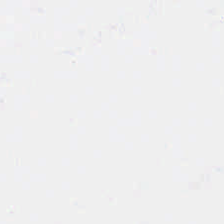H&E. No tissue.
